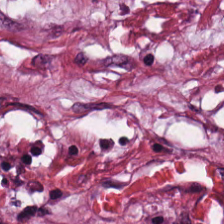224×224 px patch. H&E-stained tissue section. Desmoplastic stroma.
